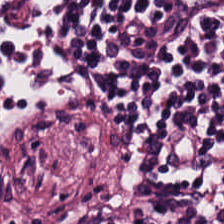H&E stain. Q: What does this patch show?
A: This is lymphocytes.
